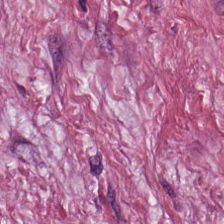FFPE; hematoxylin-and-eosin stained section. The tissue here is desmoplastic stroma.
